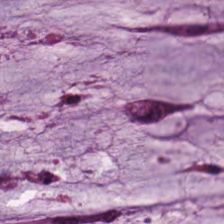Stain: H&E.
Predominant tissue: mucin.
